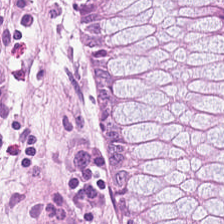H&E — Predominant tissue — normal colonic mucosa.
